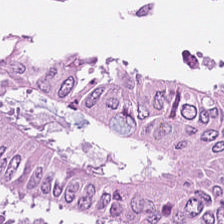Stain: H&E-stained tissue section.
Tissue: colorectal adenocarcinoma.
